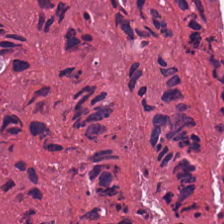Hematoxylin and eosin.
{"tissue_type": "debris"}
